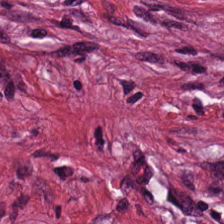Tissue = tumor stroma.
